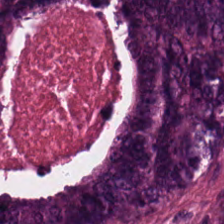Hematoxylin-and-eosin stained section. The tissue class is malignant epithelium.
